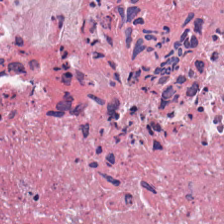0.5 microns per pixel. H&E stain. The predominant tissue is cellular debris.
